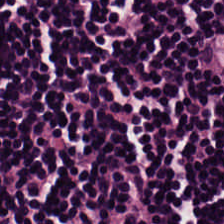Stain: hematoxylin-and-eosin stained section.
Tissue type: lymphoid infiltrate.
